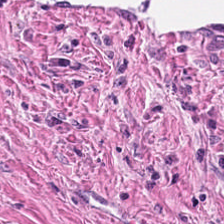Formalin-fixed paraffin-embedded section. Hematoxylin-and-eosin stained section. Q: What tissue type is shown here?
A: This is cancer-associated stroma.
